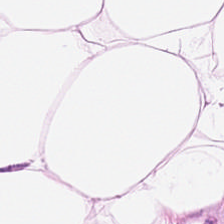Brightfield. H&E.
{"tissue_type": "fat tissue"}
